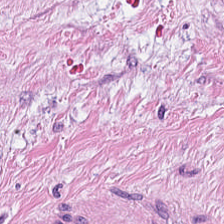Histology — tumor-associated stroma.
